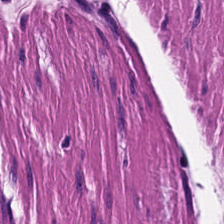Hematoxylin-and-eosin stained section; formalin-fixed paraffin-embedded section. This patch shows smooth-muscle tissue.
